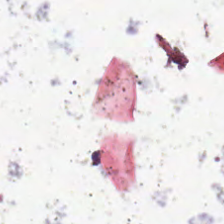H&E stain. 0.5 µm/px.
Classification — empty background.
